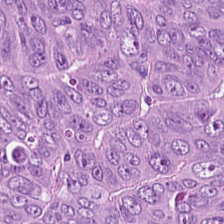Whole-slide-image patch · hematoxylin-and-eosin stained section — Finding → malignant epithelium.
